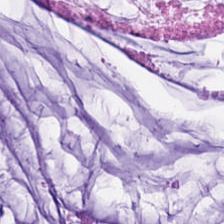Predominant tissue = extracellular mucin.
